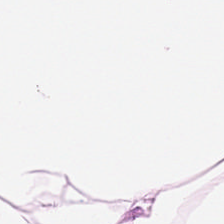H&E. Adipose tissue.
